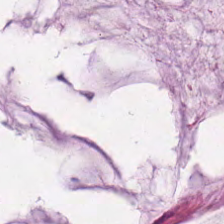Hematoxylin-and-eosin stained section. Q: What type of tissue is this?
A: It is mucin.
